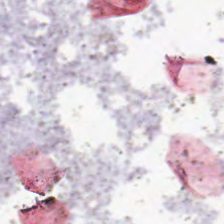Empty field — background.
